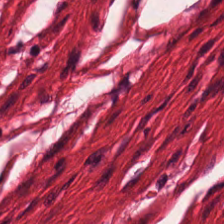Stain: hematoxylin-and-eosin stained section.
Predominant tissue: smooth muscle.
